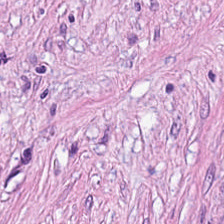Classification = cancer-associated stroma.
